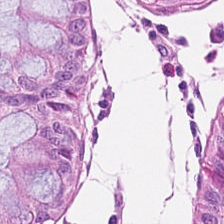Stain: H&E.
Predominant tissue: non-neoplastic colon mucosa.
